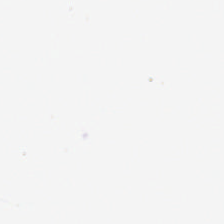H&E stain.
Histology → background (no tissue).
